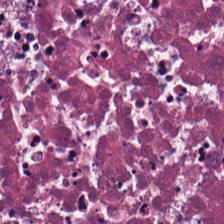Hematoxylin-and-eosin stained section — Classification = debris.
